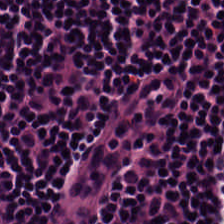H&E-stained tissue section; FFPE tissue section; 0.5 µm per pixel.
The tissue class is lymphocyte aggregate.
